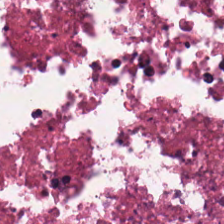H&E stain — Q: What is shown in this field?
A: Necrotic debris.
